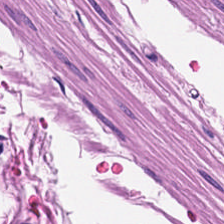FFPE. H&E stain. The predominant tissue is smooth muscle.
